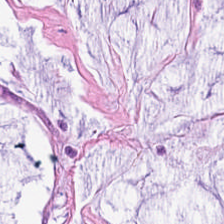H&E stain; 224×224 px tile — Q: What tissue type is shown here?
A: Mucus.
